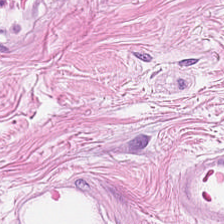Hematoxylin-and-eosin stained section · FFPE.
Q: What is shown here?
A: It is smooth-muscle tissue.
